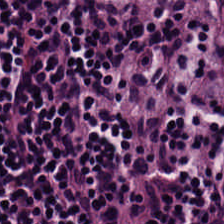H&E — lymphocyte aggregate.
